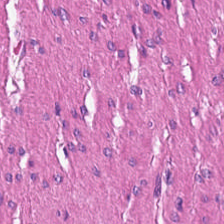This patch shows smooth-muscle tissue.
